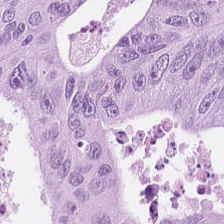Stain: hematoxylin and eosin.
Predominant tissue: tumor epithelium.
